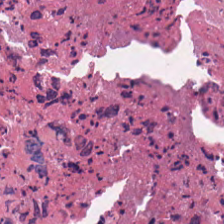Hematoxylin and eosin.
This patch shows debris.
